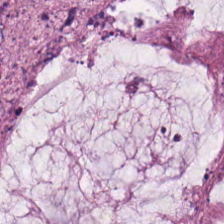224×224 px patch · H&E. Showing extracellular mucin.
